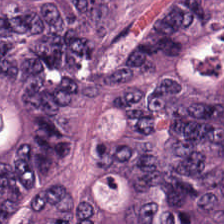H&E. Predominant tissue = adenocarcinoma.
